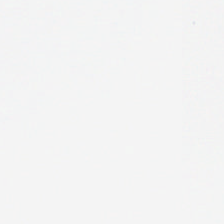Hematoxylin and eosin. Brightfield microscopy — Empty background.
